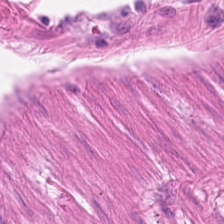This field is smooth-muscle tissue.
